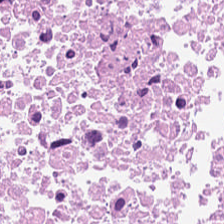FFPE · 224×224 px tile · H&E-stained tissue section — Debris.
